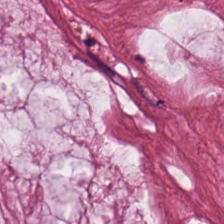0.5 µm/px. H&E-stained tissue section.
This patch shows extracellular mucin.
